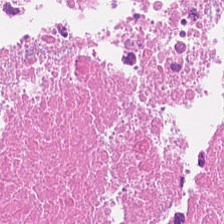H&E stain. This field is debris.
